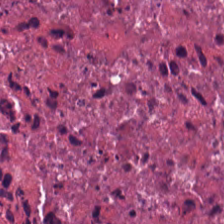H&E. This patch shows necrotic debris.
